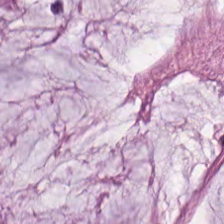H&E. The predominant tissue is extracellular mucin.
